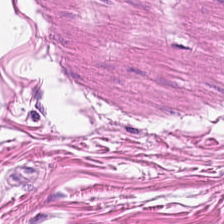Hematoxylin-and-eosin stained section. This patch shows smooth muscle.
